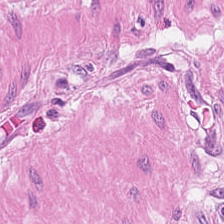Stain: hematoxylin and eosin.
Preparation: formalin-fixed paraffin-embedded section.
Classification: muscularis.
